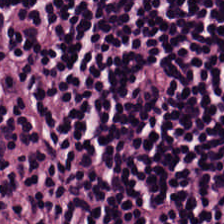224×224 px patch · H&E · FFPE. Histology → lymphoid infiltrate.
